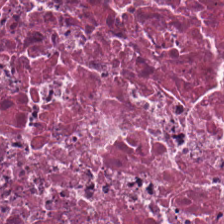Histology → debris.
